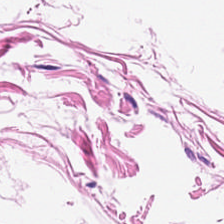Fat tissue.
